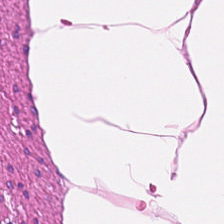Stain: H&E stain.
Classification: smooth muscle.
